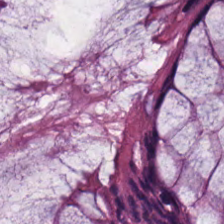H&E stain — This field is benign colonic mucosa.
